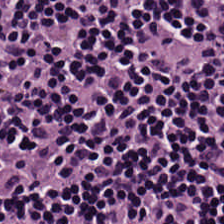224×224 px patch · hematoxylin and eosin — Q: What is shown here?
A: The field shows lymphocytes.
